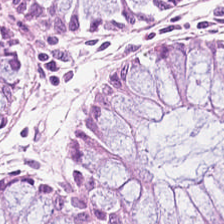H&E stain.
Q: Identify the tissue.
A: It is non-neoplastic colon mucosa.
